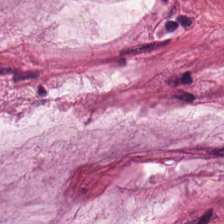Brightfield microscopy · hematoxylin and eosin.
Q: Identify the tissue.
A: It is extracellular mucin.
